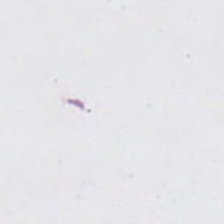H&E. Q: What is shown here?
A: This is no tissue.
